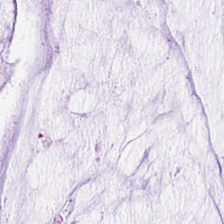Stain: H&E.
Acquisition: whole-slide-image patch.
Tissue class: mucin.
